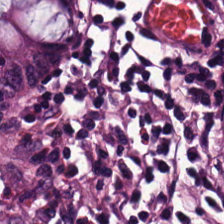The tissue is normal colonic mucosa.
